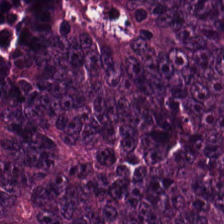H&E-stained tissue section. Brightfield. 224×224 pixel tile — Q: What tissue is shown?
A: This is colorectal adenocarcinoma epithelium.
